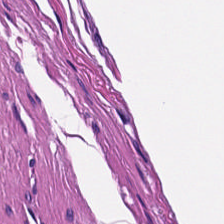Hematoxylin and eosin — {"tissue_type": "muscularis"}
